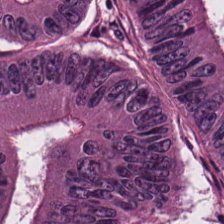Hematoxylin and eosin · 0.5 µm/px — Tissue type: adenocarcinoma.
